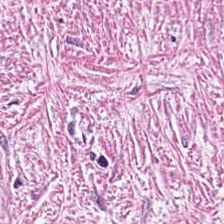H&E-stained tissue section — Q: Identify the tissue.
A: Tumor stroma.
